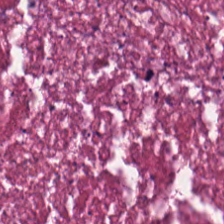0.5 µm/px; hematoxylin-and-eosin stained section.
The tissue here is necrotic debris.
